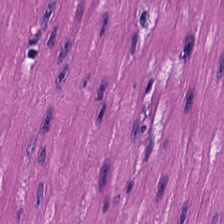Stain: hematoxylin-and-eosin stained section.
Tissue class: smooth muscle.
